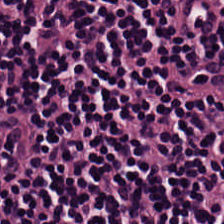WSI patch; H&E. The tissue here is lymphoid infiltrate.
